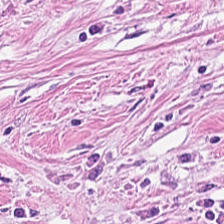Brightfield · hematoxylin-and-eosin stained section — This field is cancer-associated stroma.
